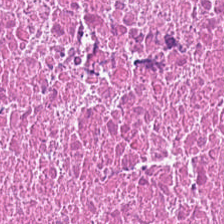Q: Identify the tissue.
A: Necrotic debris.
